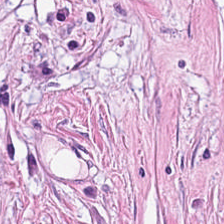Finding — cancer-associated stroma.
